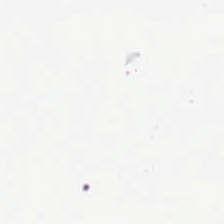H&E stain — Empty field — no tissue.
